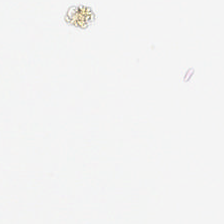Content = background.
